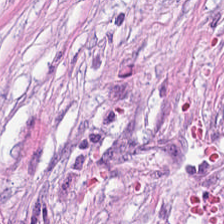FFPE. H&E. Tissue class — tumor stroma.
